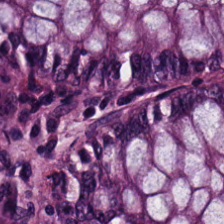H&E stain · brightfield microscopy. {"tissue_type": "benign colonic mucosa"}
